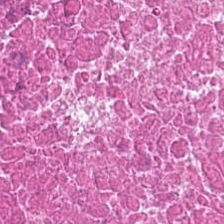224×224 pixel tile. H&E-stained tissue section. Brightfield microscopy — Predominantly necrotic debris.
